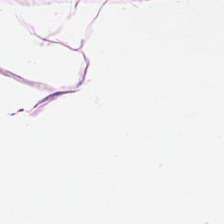Fat tissue.
